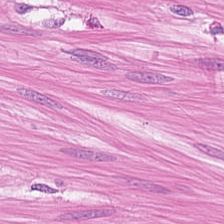Hematoxylin and eosin — Predominantly muscularis.
